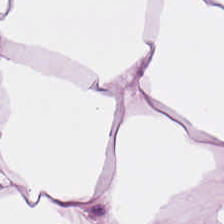Hematoxylin-and-eosin section: adipocytes.
